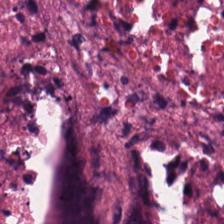Hematoxylin and eosin. {"tissue_type": "necrotic debris"}
